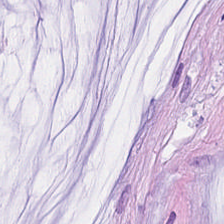Hematoxylin and eosin; 0.5 µm per pixel — This patch shows extracellular mucin.
